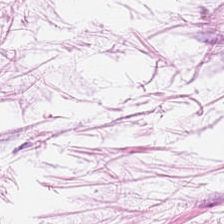Stain: H&E-stained tissue section.
Tile size: 224×224 pixel tile.
Tissue class: adipose.
